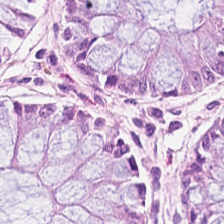20× equivalent magnification. H&E-stained tissue section. FFPE. Tissue class — normal colonic mucosa.
